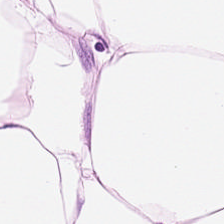Tissue: adipose.
